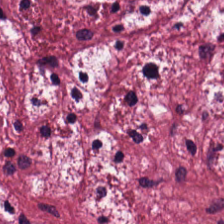H&E-stained tissue section; 224×224 pixel tile.
Q: What is shown in this field?
A: The field shows tumor-associated stroma.
